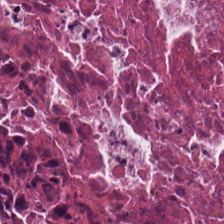Brightfield; 0.5 µm per pixel; H&E. Q: What tissue is shown?
A: This is cellular debris.
